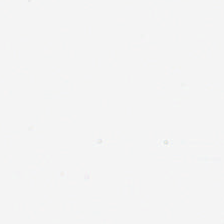WSI patch. Hematoxylin-and-eosin stained section.
Empty field — empty background.
